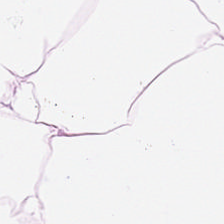H&E-stained tissue section — Fat tissue.
